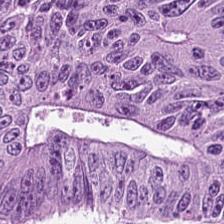Tissue type — malignant epithelium.
